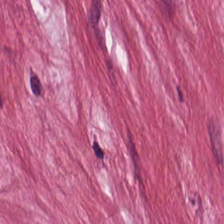The tissue type is desmoplastic stroma.
